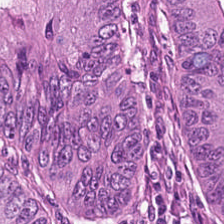Stain: hematoxylin-and-eosin stained section.
Classification: colorectal adenocarcinoma epithelium.
